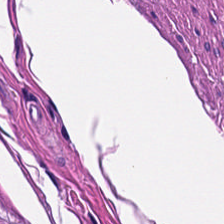Stain: H&E stain.
Classification: smooth muscle.
